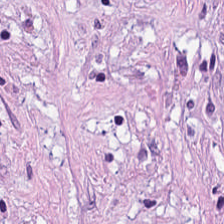224×224 px tile. H&E stain.
Q: What tissue is shown?
A: Desmoplastic stroma.
